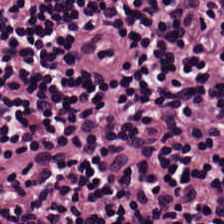Hematoxylin-and-eosin stained section. Classification: lymphocyte aggregate.
